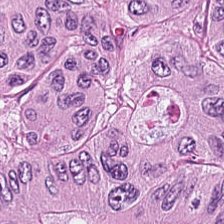Stain: H&E.
Tissue class: adenocarcinoma.
